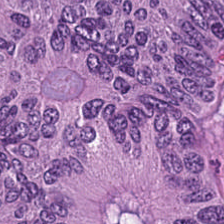Brightfield. H&E stain.
{"tissue_type": "malignant epithelium"}
